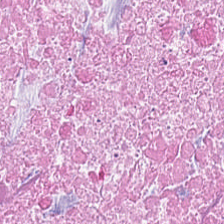Stain: H&E stain.
Tissue class: debris.
